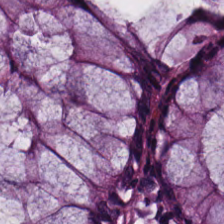H&E — Q: What type of tissue is this?
A: The field shows benign colonic mucosa.
